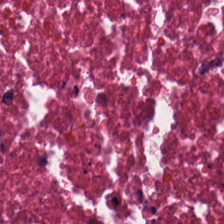H&E stain.
Predominantly debris.
